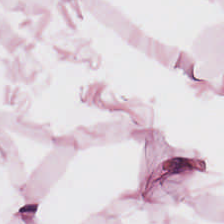20× equivalent magnification · hematoxylin and eosin · FFPE — Tissue class = adipose tissue.
